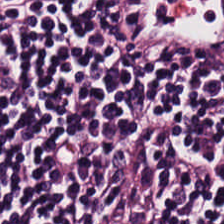H&E stain.
Finding → lymphoid infiltrate.
